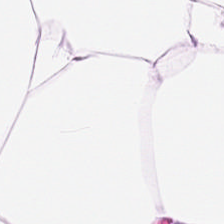224×224 pixel tile · H&E stain — This patch shows adipose tissue.
